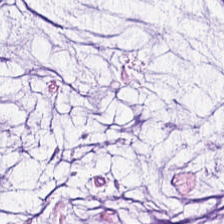This patch shows extracellular mucin.
